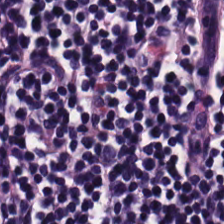H&E. Tissue — lymphocytic infiltrate.
